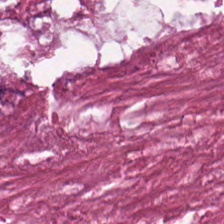The tissue type is cellular debris.
